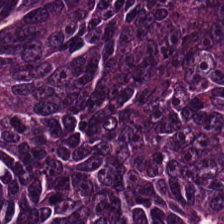H&E stain · 0.5 µm per pixel · WSI patch.
This field is malignant epithelium.
